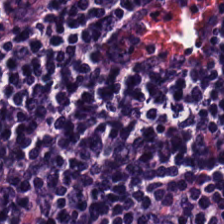Hematoxylin-and-eosin stained section. FFPE.
The predominant tissue is lymphocyte aggregate.
